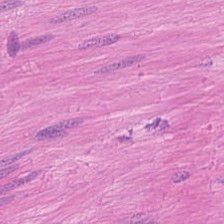Hematoxylin-and-eosin stained section.
Q: What is shown here?
A: It is smooth-muscle tissue.
